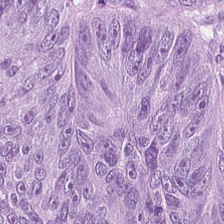Brightfield microscopy; H&E-stained tissue section — Q: What does this patch show?
A: This is malignant epithelium.
